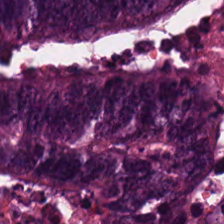Stain: H&E-stained tissue section.
Tissue: colorectal adenocarcinoma.
